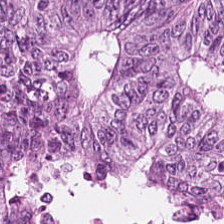{"tissue_type": "adenocarcinoma"}
